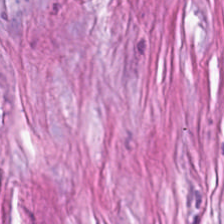H&E stain; 0.5 µm/px. The tissue here is desmoplastic stroma.
